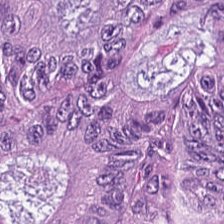H&E · 0.5 µm/px · WSI patch. Tissue type = adenocarcinoma.
